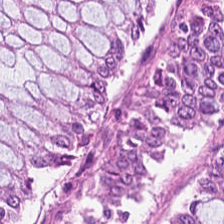224×224 px patch. Hematoxylin-and-eosin stained section. The tissue is normal colon mucosa.
